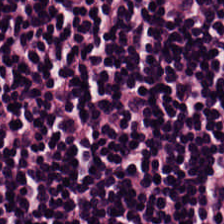Brightfield microscopy · H&E stain.
{"tissue_type": "lymphocytes"}
